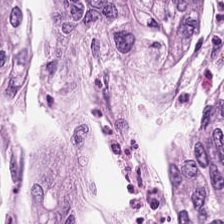H&E · 20× equivalent magnification. Tissue type = colorectal adenocarcinoma.
